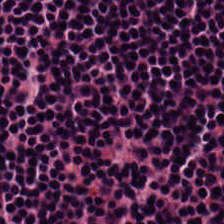H&E stain; WSI patch.
Tissue — lymphocyte aggregate.
